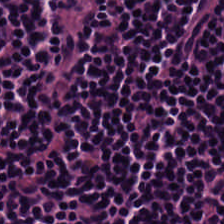224×224 px tile · hematoxylin-and-eosin stained section · FFPE tissue section — Q: Identify the tissue.
A: This is lymphocyte aggregate.
